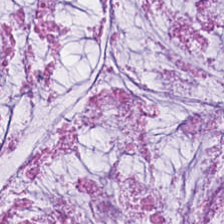Stain: hematoxylin-and-eosin stained section.
Preparation: FFPE tissue section.
Tissue class: mucus.
